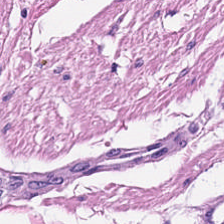0.5 µm per pixel · H&E.
Q: What does this patch show?
A: This is smooth-muscle tissue.
